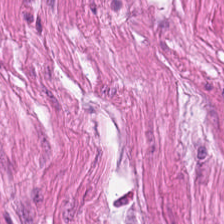H&E stain. Formalin-fixed paraffin-embedded section. WSI patch — This patch shows smooth-muscle tissue.
